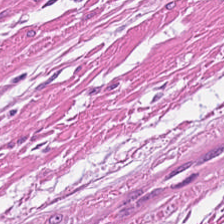Predominant tissue: muscularis.
